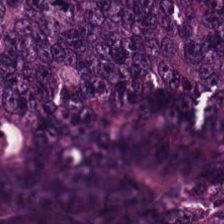Hematoxylin-and-eosin stained section.
The tissue class is tumor epithelium.
